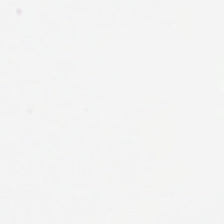Hematoxylin-and-eosin stained section; whole-slide-image patch; 0.5 µm/px.
This patch shows empty background.
